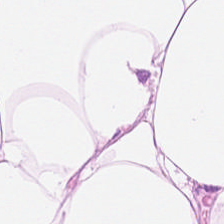0.5 µm/px; H&E; 224×224 px tile — This field is adipocytes.
